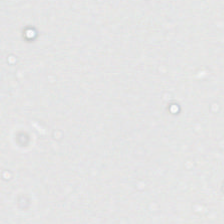Impression — no tissue.
